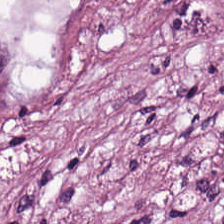Whole-slide-image patch · H&E-stained tissue section — Tissue type: tumor stroma.
